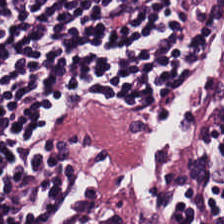H&E; FFPE; WSI patch — {"tissue_type": "lymphocytes"}
